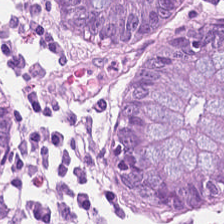Q: What is shown in this field?
A: This is normal colon mucosa.
